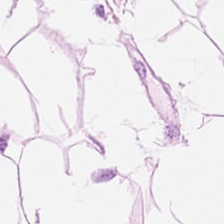H&E stain. 224×224 px tile.
Predominantly adipose.
